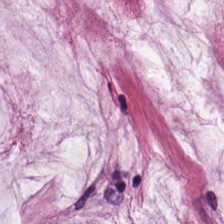224×224 px tile. H&E-stained tissue section. 0.5 microns per pixel.
Predominant tissue = mucus.
